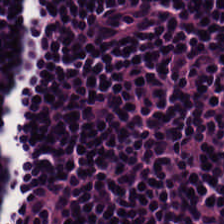Q: What tissue is shown?
A: It is lymphocytic infiltrate.
